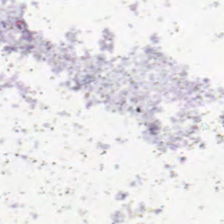Stain: H&E-stained tissue section.
Resolution: 20× equivalent magnification.
Preparation: FFPE.
Field content: no tissue.
